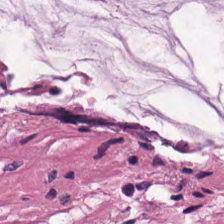H&E. Showing mucin.
